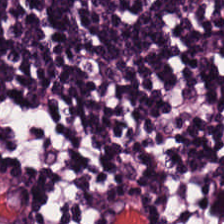H&E. Classification: lymphocytes.
